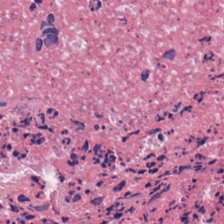H&E stain. 20× equivalent magnification. Cellular debris.
